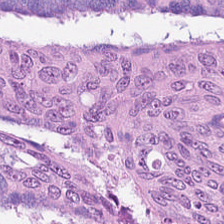H&E. Q: What is shown in this field?
A: It is colorectal adenocarcinoma.
